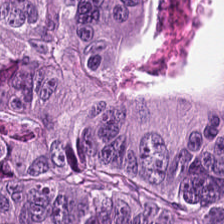{"tissue_type": "colorectal adenocarcinoma"}
